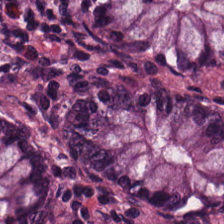Hematoxylin-and-eosin stained section. FFPE — Finding → benign colonic mucosa.
